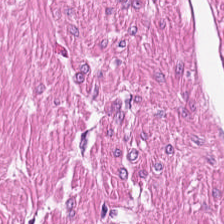H&E — The tissue class is smooth muscle.
